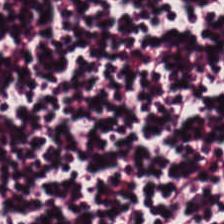Hematoxylin and eosin — The classification is lymphoid infiltrate.
